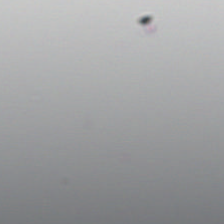Q: What is shown here?
A: This is no tissue.
